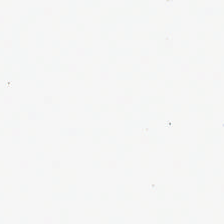Histology → no tissue.
